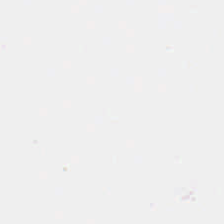H&E; whole-slide-image patch — This patch shows background.
